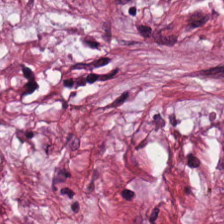Hematoxylin-and-eosin stained section.
The classification is tumor stroma.
